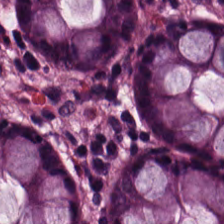0.5 µm/px. H&E stain.
Q: What is shown in this field?
A: This is normal colon mucosa.
